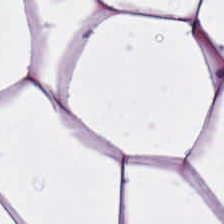Hematoxylin-and-eosin stained section.
Tissue — adipose.
